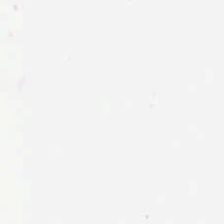Impression → empty background.
